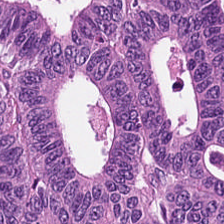Hematoxylin and eosin — Finding — colorectal adenocarcinoma.
